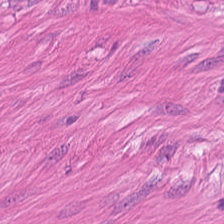0.5 µm per pixel · H&E-stained tissue section — This patch shows muscularis.
